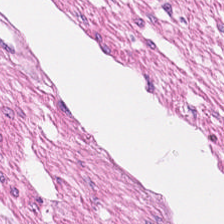Hematoxylin-and-eosin stained section.
The tissue here is muscularis.
